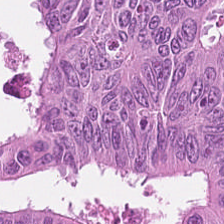Hematoxylin-and-eosin stained section. This field is adenocarcinoma.
